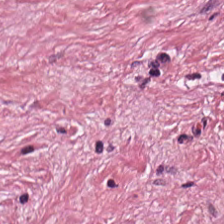H&E-stained tissue section — Tissue = tumor stroma.
